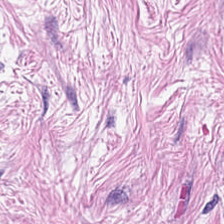FFPE tissue section; H&E-stained tissue section. The tissue here is cancer-associated stroma.
